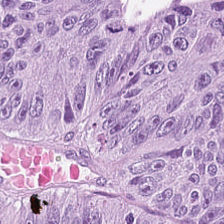Tissue class: adenocarcinoma.
